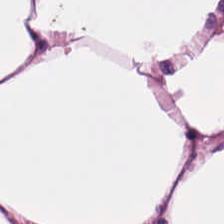0.5 µm/px; hematoxylin-and-eosin stained section. This field is adipose.
